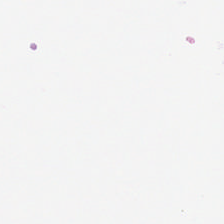224×224 px tile. H&E-stained tissue section.
Field content = empty background.
